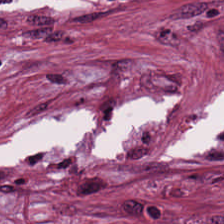0.5 microns per pixel · hematoxylin-and-eosin stained section · formalin-fixed paraffin-embedded section.
Desmoplastic stroma.
